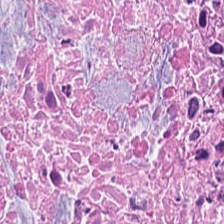H&E — This field is necrotic debris.
